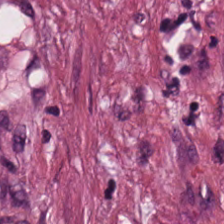Tissue type: desmoplastic stroma.
